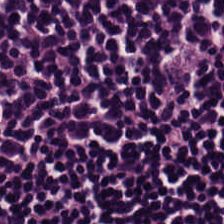Q: What type of tissue is this?
A: The field shows lymphoid infiltrate.
